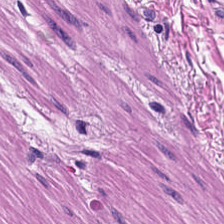FFPE tissue section. Whole-slide-image patch. H&E stain. Showing smooth-muscle tissue.
